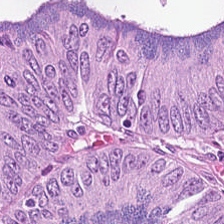H&E — Colorectal adenocarcinoma.
